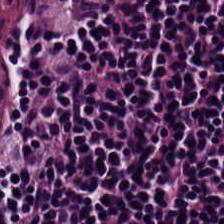224×224 px tile; formalin-fixed paraffin-embedded section; hematoxylin and eosin. Finding — lymphocytic infiltrate.
